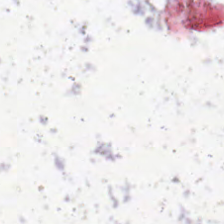H&E stain.
Background.
